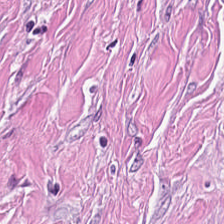H&E — Impression → tumor stroma.
